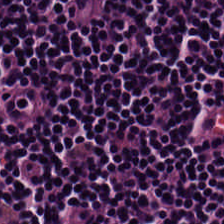H&E. Predominantly lymphoid infiltrate.
